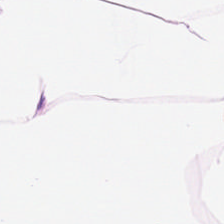Q: What tissue type is shown here?
A: The field shows adipocytes.
